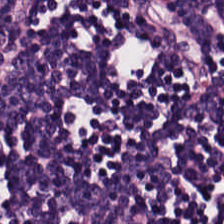224×224 px tile · hematoxylin-and-eosin stained section. Q: Classify this patch.
A: It is lymphoid infiltrate.
